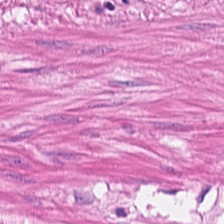Whole-slide-image patch; H&E-stained tissue section.
Q: Classify this patch.
A: It is smooth muscle.
